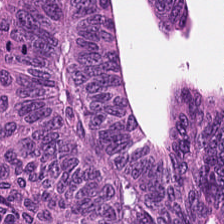{"tissue_type": "malignant epithelium"}
